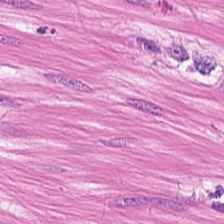H&E — Smooth muscle.
